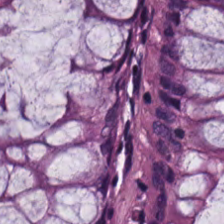FFPE tissue section. Hematoxylin-and-eosin stained section — Benign colonic mucosa.
